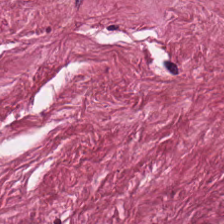Brightfield microscopy. Hematoxylin-and-eosin stained section. Predominantly cancer-associated stroma.
